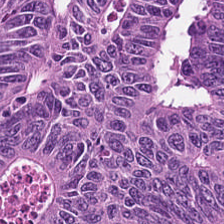Hematoxylin and eosin.
This field is colorectal adenocarcinoma.
